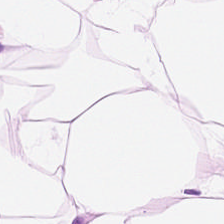Stain: hematoxylin and eosin.
Predominant tissue: fat tissue.
